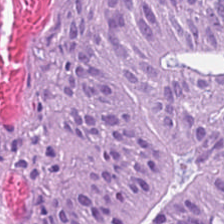H&E.
Colorectal adenocarcinoma.
